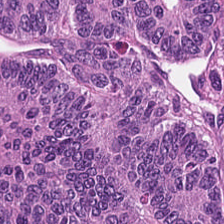Classification = colorectal adenocarcinoma epithelium.
